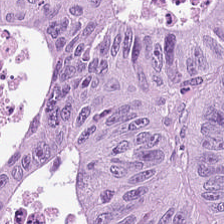H&E-stained tissue section. The tissue class is malignant epithelium.
